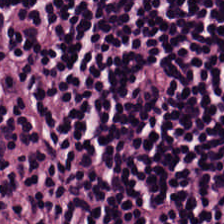Hematoxylin and eosin; formalin-fixed paraffin-embedded section; 0.5 µm/px — The predominant tissue is lymphocytes.
